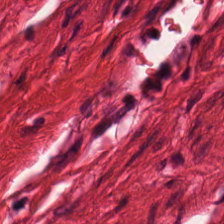Hematoxylin and eosin — Tissue class = muscularis.
